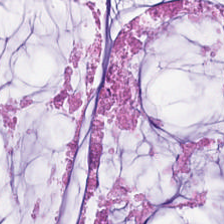H&E-stained tissue section.
Tissue class: extracellular mucin.
